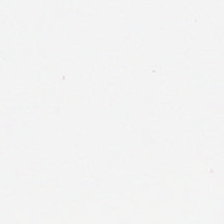Hematoxylin-and-eosin stained section. This patch shows no tissue.
